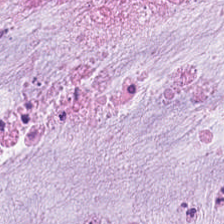Finding → mucin.
